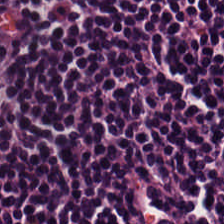Stain: H&E stain.
Tissue class: lymphocyte aggregate.
